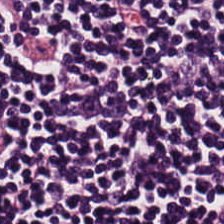H&E-stained section; the field shows lymphocyte aggregate.
